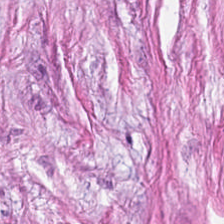H&E stain — Cancer-associated stroma.
